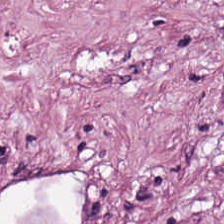Hematoxylin and eosin. 224×224 pixel tile — Q: What type of tissue is this?
A: This is cancer-associated stroma.
